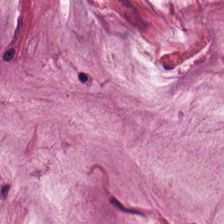Stain: H&E-stained tissue section.
Tile size: 224×224 px patch.
Acquisition: whole-slide-image patch.
Tissue type: mucus.
